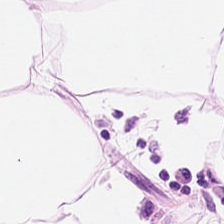H&E-stained tissue section.
Predominantly adipose tissue.
